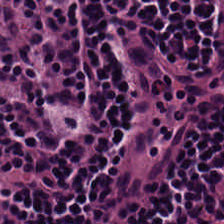Stain: H&E stain.
Classification: lymphocytes.
